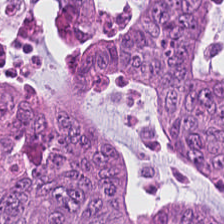20× equivalent magnification. Hematoxylin-and-eosin stained section. 224×224 px patch. Predominantly tumor epithelium.
